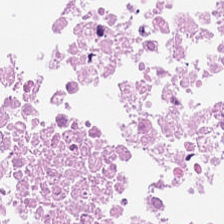Stain: H&E.
Tile size: 224×224 px patch.
Preparation: FFPE.
Tissue: cellular debris.
